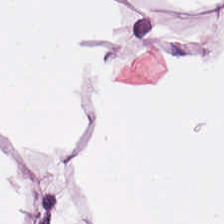H&E-stained tissue section. Q: What type of tissue is this?
A: This is adipocytes.
